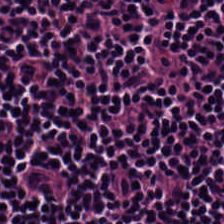H&E stain.
Q: Classify this patch.
A: It is lymphoid infiltrate.
